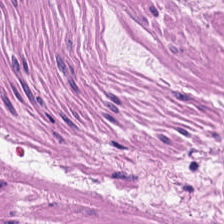{"tissue_type": "smooth muscle"}
